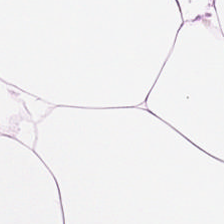Hematoxylin-and-eosin stained section. Predominantly adipose tissue.
